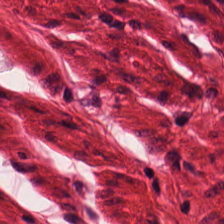The classification is muscularis.
